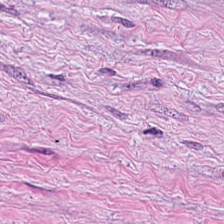H&E stain.
This field is desmoplastic stroma.
